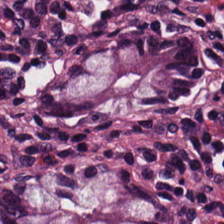H&E. 224×224 pixel tile. 0.5 µm per pixel. Impression — benign colonic mucosa.
